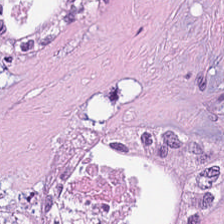Stain: hematoxylin and eosin.
Tissue class: necrotic debris.
